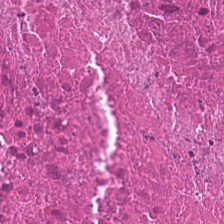FFPE; 20× equivalent magnification; hematoxylin and eosin.
Impression — necrotic debris.
